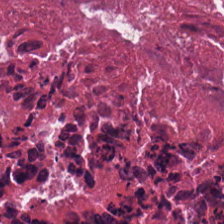Stain: hematoxylin-and-eosin stained section.
Preparation: FFPE.
Resolution: 20× equivalent magnification.
Tissue class: debris.
